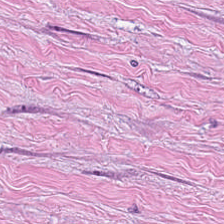H&E stain — This patch shows tumor stroma.
